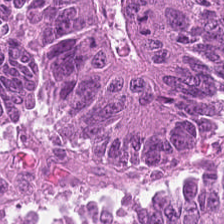H&E-stained section; the field shows tumor epithelium.
